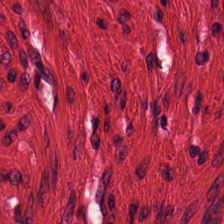H&E. Muscularis.
